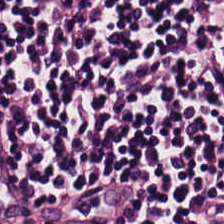Stain: hematoxylin-and-eosin stained section.
Preparation: formalin-fixed paraffin-embedded section.
Resolution: 0.5 µm/px.
Tissue type: lymphoid infiltrate.
